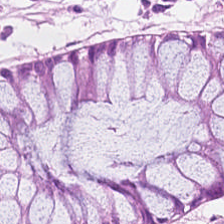H&E. Benign colonic mucosa.
